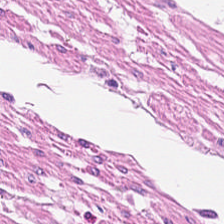H&E stain. Q: What is shown in this field?
A: This is smooth-muscle tissue.
